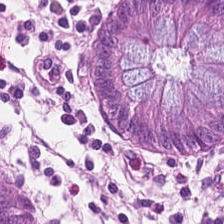Hematoxylin and eosin. Predominantly benign colonic mucosa.
